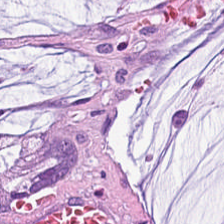Stain: H&E-stained tissue section.
Tissue type: mucus.
